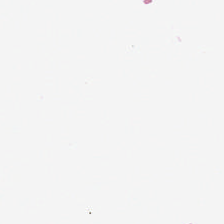H&E-stained tissue section. Content = background.
